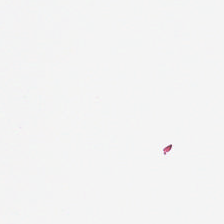H&E stain; formalin-fixed paraffin-embedded section — Field content — empty background.
